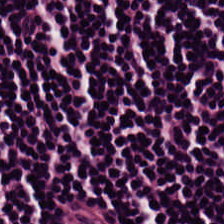Tissue type: lymphocytes.
